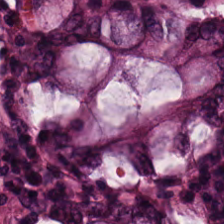The tissue here is normal colonic mucosa.
